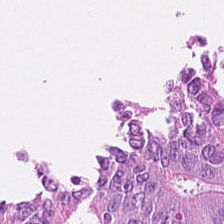H&E. The predominant tissue is adenocarcinoma.
